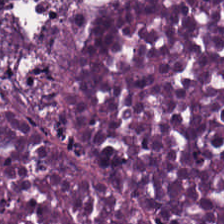Stain: hematoxylin-and-eosin stained section.
Acquisition: WSI patch.
Tissue class: debris.
